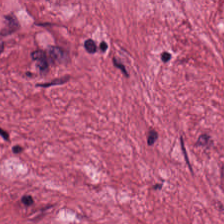0.5 microns per pixel · H&E stain · 224×224 px patch — Finding → tumor-associated stroma.
